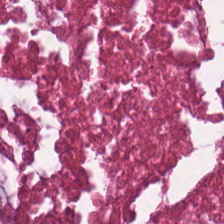H&E stain. This field is debris.
